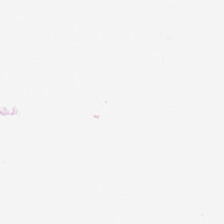H&E-stained tissue section; 224×224 pixel tile. Q: What is shown in this field?
A: It is background.
